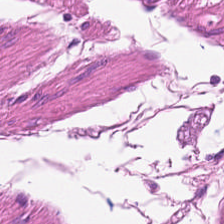{"tissue_type": "smooth muscle"}
